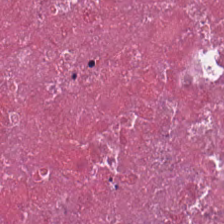Debris.
